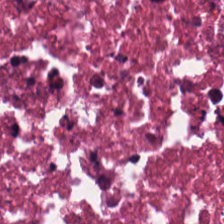Hematoxylin-and-eosin stained section.
Histology → debris.
